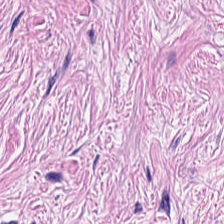Hematoxylin and eosin; 0.5 µm per pixel. This patch shows desmoplastic stroma.
